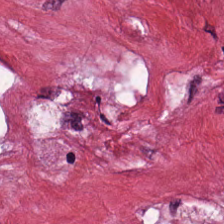Stain: H&E-stained tissue section.
Resolution: 20× equivalent magnification.
Acquisition: whole-slide-image patch.
Tissue: desmoplastic stroma.
